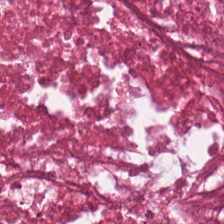H&E-stained tissue section · WSI patch.
Cellular debris.
